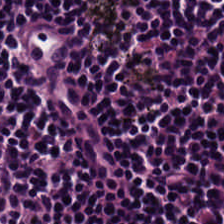Predominantly lymphocyte aggregate.
